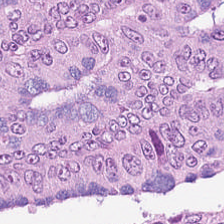Brightfield microscopy · hematoxylin-and-eosin stained section. Tissue type: adenocarcinoma.
